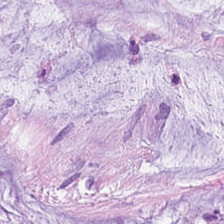Brightfield microscopy · H&E-stained tissue section. Predominant tissue = extracellular mucin.
